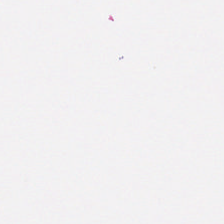20× equivalent magnification · hematoxylin-and-eosin stained section.
Predominantly smooth-muscle tissue.
